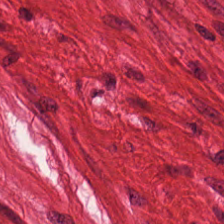Brightfield microscopy. 0.5 µm/px. Hematoxylin-and-eosin stained section — Smooth-muscle tissue.
